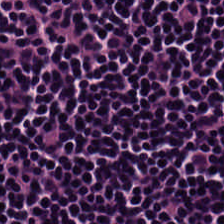Lymphocytes.
